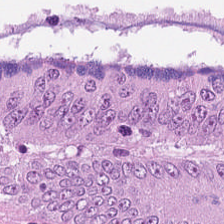Tissue — tumor epithelium.
